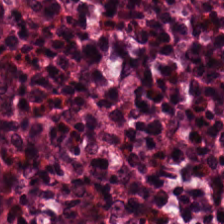FFPE · H&E-stained tissue section.
This patch shows normal colon mucosa.
